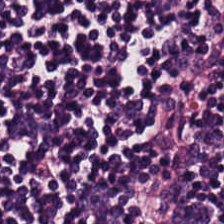H&E — Q: What tissue is shown?
A: The field shows lymphocyte aggregate.
